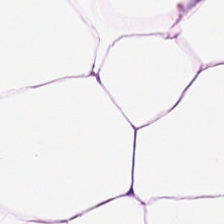H&E-stained tissue section. Showing adipocytes.
